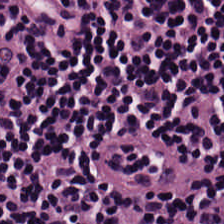Hematoxylin-and-eosin stained section — Predominantly lymphoid infiltrate.
